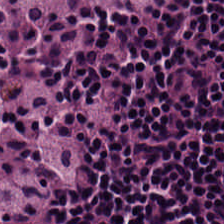H&E — lymphocyte aggregate.
